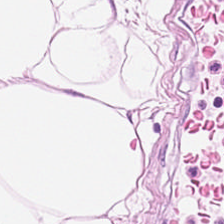Tissue: adipose tissue.
